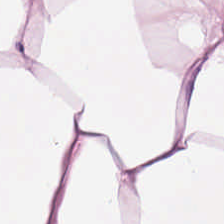Hematoxylin and eosin — Tissue class: adipocytes.
